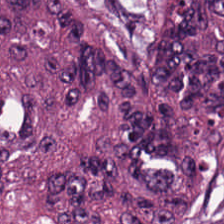FFPE. Hematoxylin-and-eosin stained section.
This patch shows malignant epithelium.
